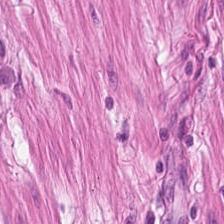H&E — muscularis.
